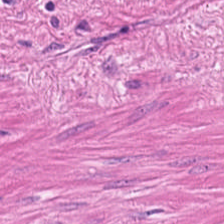224×224 px patch · H&E — Smooth-muscle tissue.
